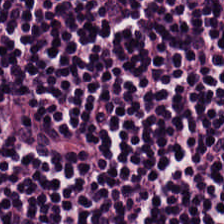H&E-stained section; the field shows lymphocyte aggregate.
